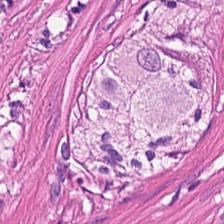Brightfield · FFPE · H&E stain.
Tissue class = smooth muscle.
